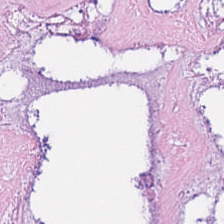Stain: hematoxylin-and-eosin stained section.
Resolution: 0.5 microns per pixel.
Predominant tissue: cellular debris.
